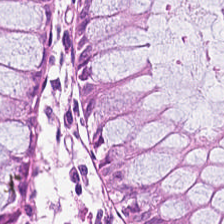224×224 pixel tile; hematoxylin and eosin; 20× equivalent magnification.
The tissue here is benign colonic mucosa.
